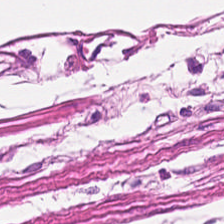224×224 pixel tile; hematoxylin-and-eosin stained section; 0.5 µm per pixel — The predominant tissue is muscularis.
